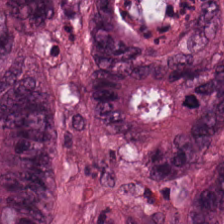This patch shows tumor epithelium.
